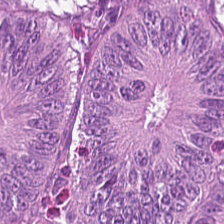Formalin-fixed paraffin-embedded section; hematoxylin-and-eosin stained section. {"tissue_type": "tumor epithelium"}
